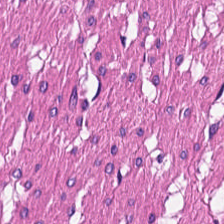224×224 pixel tile. 0.5 µm/px. H&E stain — The tissue here is smooth muscle.
